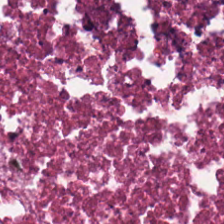Hematoxylin and eosin · FFPE · 224×224 px patch. Impression — cellular debris.
